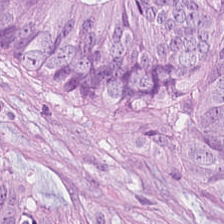Hematoxylin-and-eosin section: colorectal adenocarcinoma.
